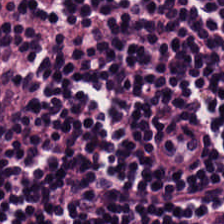H&E. Tissue class — lymphoid infiltrate.
